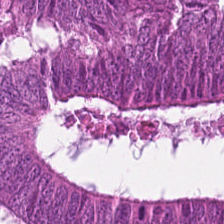H&E stain. {"tissue_type": "malignant epithelium"}
